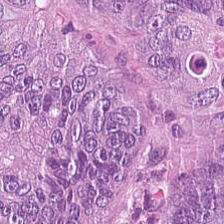Hematoxylin-and-eosin stained section · 224×224 px tile — Predominantly tumor epithelium.
